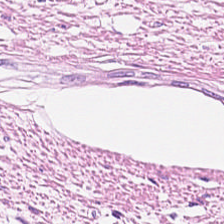Stain: H&E-stained tissue section.
Resolution: 20× equivalent magnification.
Tissue: smooth muscle.
